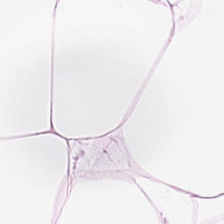H&E. The tissue here is adipose.
